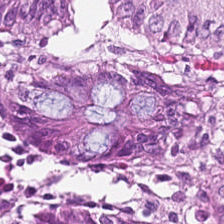Predominantly normal colon mucosa.
